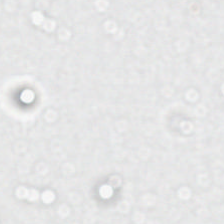H&E stain.
Classification: background (no tissue).
